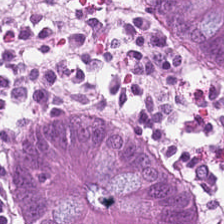H&E stain — Q: What does this patch show?
A: Non-neoplastic colon mucosa.
